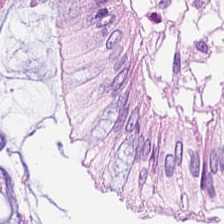Hematoxylin-and-eosin stained section — Impression — normal colon mucosa.
